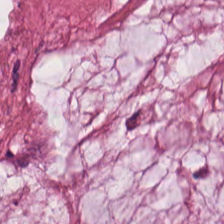H&E stain — Classification: mucin.
